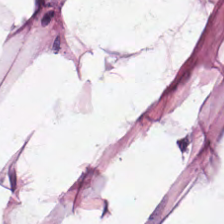Hematoxylin and eosin; 0.5 µm/px; FFPE tissue section — Q: Identify the tissue.
A: It is adipose.
